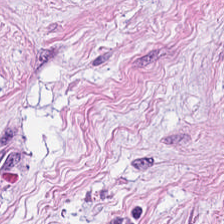Hematoxylin and eosin. Q: What is the predominant tissue type?
A: The field shows tumor stroma.
